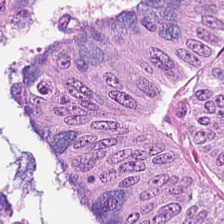224×224 pixel tile · H&E stain · FFPE.
The tissue here is colorectal adenocarcinoma.
